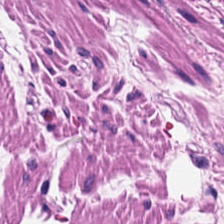Hematoxylin and eosin. Showing smooth-muscle tissue.
